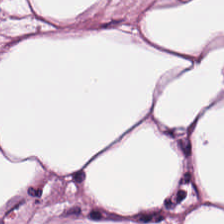224×224 px patch. Hematoxylin-and-eosin stained section.
Classification: adipose.
